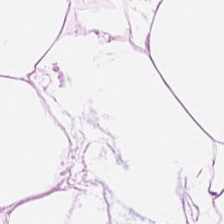H&E stain; formalin-fixed paraffin-embedded section; brightfield.
Q: What is shown in this field?
A: This is adipocytes.
